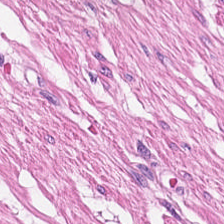Q: What tissue type is shown here?
A: The field shows muscularis.
